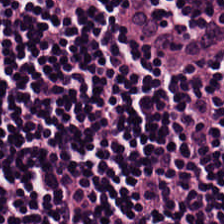0.5 µm per pixel · brightfield · H&E. Classification = lymphoid infiltrate.
